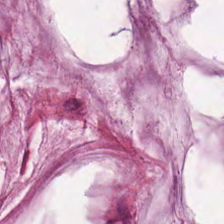H&E-stained tissue section — Q: What is shown in this field?
A: Mucus.
